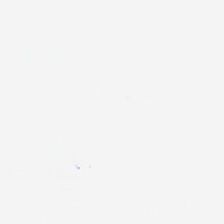H&E.
Classification = no tissue.
